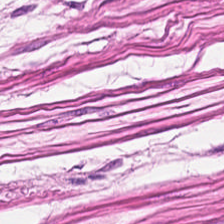H&E. Tissue — muscularis.
